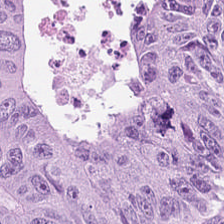Stain: H&E.
Tissue type: colorectal adenocarcinoma.
